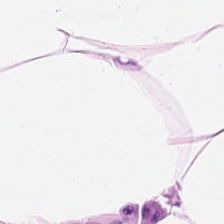H&E-stained tissue section · 224×224 px tile.
Classification = fat tissue.
